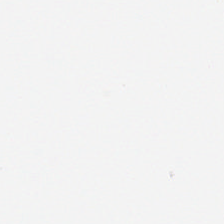WSI patch · hematoxylin and eosin.
This field is background (no tissue).
